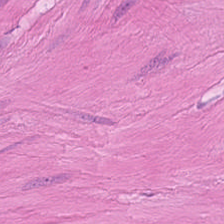0.5 microns per pixel · H&E.
Predominantly smooth muscle.
